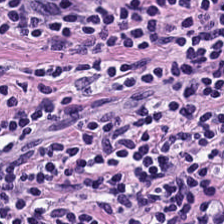{"tissue_type": "lymphocytic infiltrate"}
